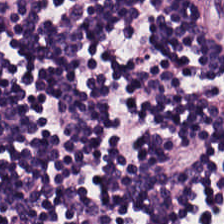This patch shows lymphocytic infiltrate.
